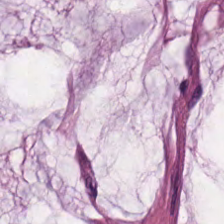This field is mucin.
